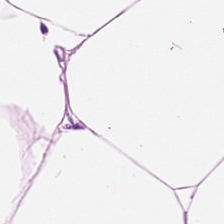Stain: hematoxylin and eosin.
Classification: adipose.
